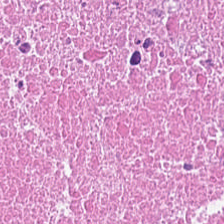Stain: hematoxylin-and-eosin stained section.
Resolution: 0.5 µm per pixel.
Tissue class: necrotic debris.
